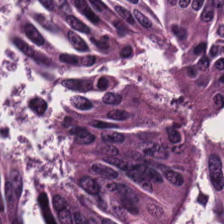Q: Classify this patch.
A: This is adenocarcinoma.
